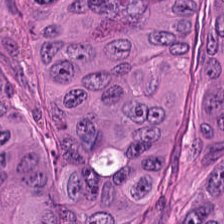Stain: hematoxylin and eosin.
Tile size: 224×224 pixel tile.
Resolution: 0.5 µm per pixel.
Predominant tissue: tumor epithelium.
